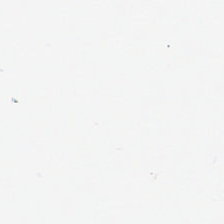No tissue present; background only.
